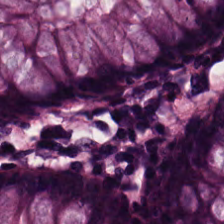The tissue class is benign colonic mucosa.
